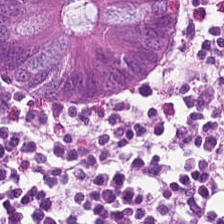Q: What tissue type is shown here?
A: The field shows normal colonic mucosa.
